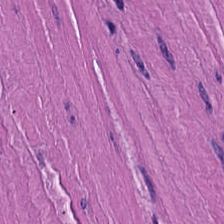Classification = muscularis.
